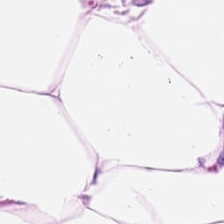Hematoxylin-and-eosin stained section. {"tissue_type": "adipocytes"}
